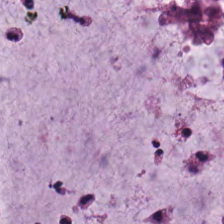Brightfield; 224×224 px patch; H&E stain — Q: What is the predominant tissue type?
A: It is mucus.
